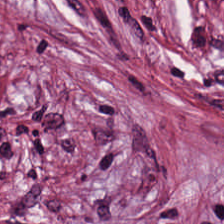H&E stain — The tissue is tumor stroma.
